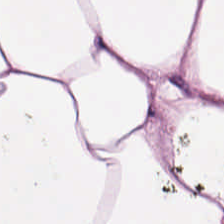Q: What tissue is shown?
A: Adipose tissue.
